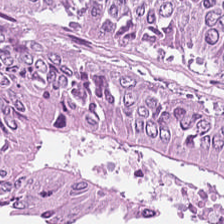H&E stain — Tissue type — tumor epithelium.
